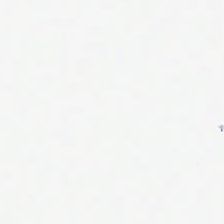Brightfield; H&E — Q: What is shown here?
A: No tissue.
